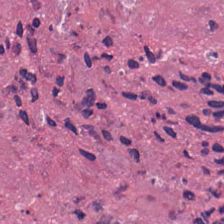FFPE · H&E-stained tissue section.
Impression — cellular debris.
